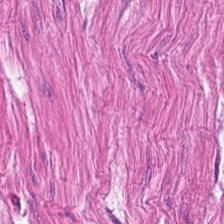Brightfield microscopy. H&E.
Smooth muscle.
